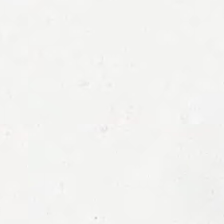224×224 px patch · H&E stain · brightfield — {"content": "no tissue"}
